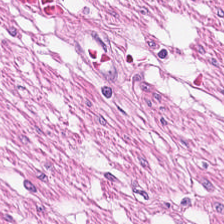H&E stain. Q: Classify this patch.
A: This is smooth muscle.
